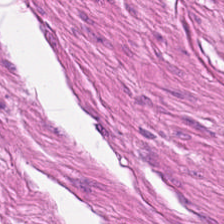Whole-slide-image patch · hematoxylin and eosin — This patch shows smooth muscle.
